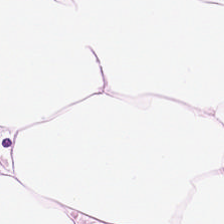Stain: H&E stain.
Preparation: FFPE.
Tissue: adipose.
